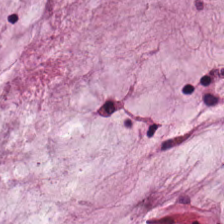0.5 µm per pixel · H&E stain.
Q: What is the predominant tissue type?
A: Mucus.
